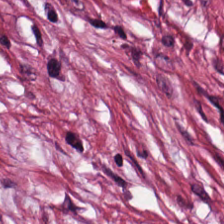Stain: hematoxylin-and-eosin stained section.
Classification: tumor-associated stroma.
